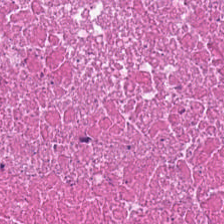H&E · 0.5 µm/px — Debris.
